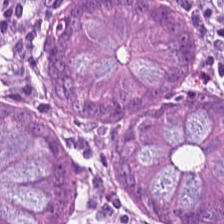Brightfield microscopy. Formalin-fixed paraffin-embedded section. H&E stain — Tissue class = normal colon mucosa.
